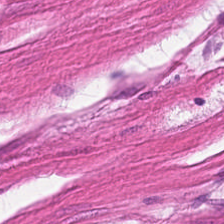H&E-stained tissue section — The predominant tissue is muscularis.
